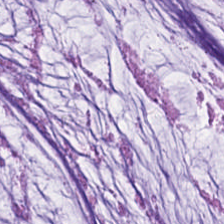H&E-stained tissue section; 0.5 µm/px. The predominant tissue is mucus.
